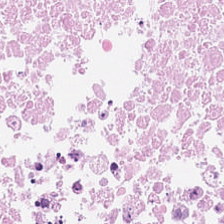Showing necrotic debris.
